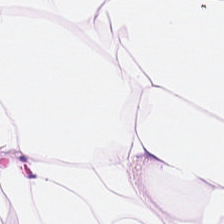Stain: hematoxylin-and-eosin stained section.
Tile size: 224×224 pixel tile.
Tissue type: adipocytes.
